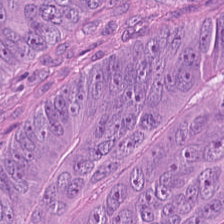Stain: H&E.
Classification: tumor epithelium.
